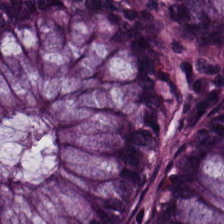This patch shows benign colonic mucosa.
